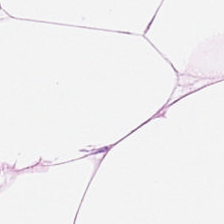20× equivalent magnification; hematoxylin and eosin.
Q: What tissue type is shown here?
A: This is adipocytes.
